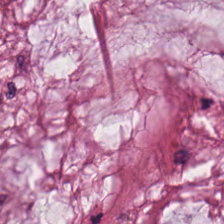Q: Identify the tissue.
A: This is extracellular mucin.
